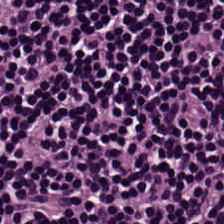Stain: hematoxylin-and-eosin stained section.
Tissue: lymphocytic infiltrate.
